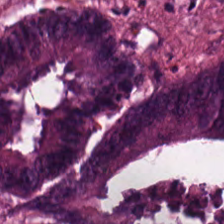H&E-stained tissue section · brightfield. Tissue type — colorectal adenocarcinoma.
